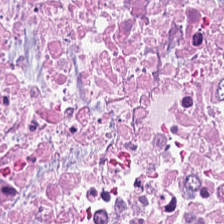Hematoxylin and eosin — Predominant tissue — cellular debris.
